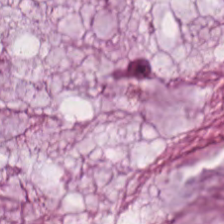Hematoxylin-and-eosin stained section — Histology — extracellular mucin.
